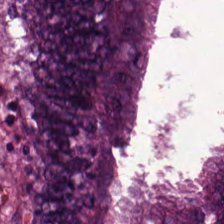Stain: H&E.
Predominant tissue: colorectal adenocarcinoma epithelium.
